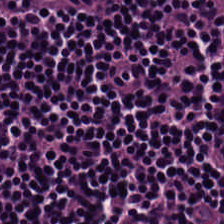Lymphocyte aggregate.
